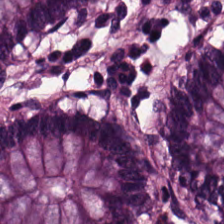Hematoxylin-and-eosin stained section · 224×224 px tile — This patch shows normal colon mucosa.
